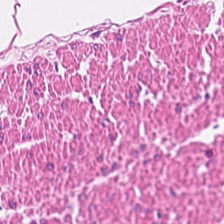H&E-stained tissue section. Q: What tissue is shown?
A: It is muscularis.
